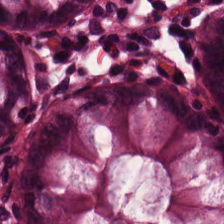Hematoxylin-and-eosin stained section.
Impression → normal colonic mucosa.
